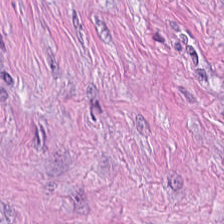Hematoxylin and eosin. FFPE. 0.5 µm per pixel.
Predominantly cancer-associated stroma.
